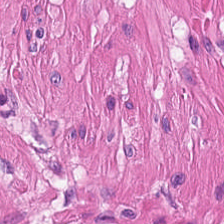{"tissue_type": "smooth muscle"}
